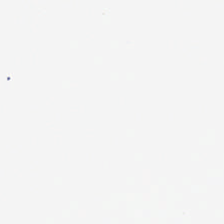0.5 microns per pixel · hematoxylin and eosin · brightfield microscopy.
Background — no tissue in this field.
